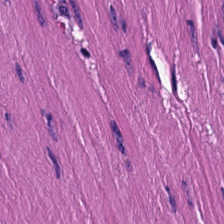Predominant tissue — muscularis.
